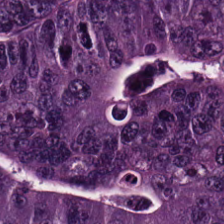H&E.
The predominant tissue is adenocarcinoma.
